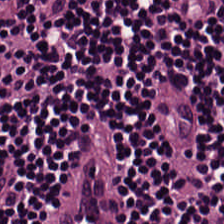224×224 px tile · H&E stain.
Tissue class = lymphocytic infiltrate.
